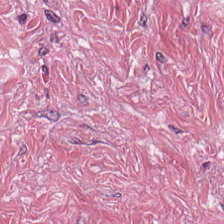H&E.
{"tissue_type": "cancer-associated stroma"}
